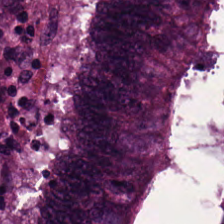Tissue type: malignant epithelium.
